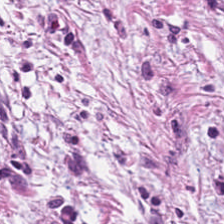The predominant tissue is tumor-associated stroma.
